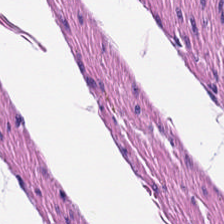H&E stain. Tissue type = smooth-muscle tissue.
